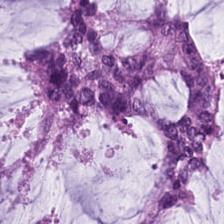0.5 µm/px. Hematoxylin-and-eosin stained section — Predominant tissue: mucin.
